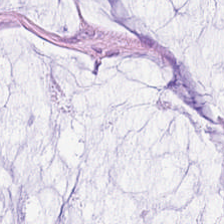0.5 microns per pixel; 224×224 pixel tile; hematoxylin and eosin — Histology — mucus.
